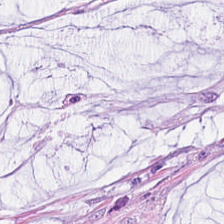Stain: H&E-stained tissue section.
Tissue: mucin.
